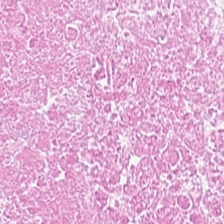Stain: H&E.
Predominant tissue: debris.
